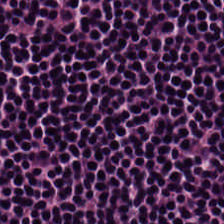Histology → lymphocytic infiltrate.
